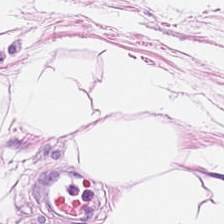Tissue type = adipose.
